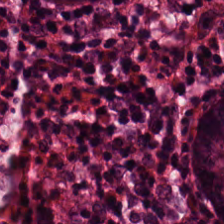Impression → non-neoplastic colon mucosa.
